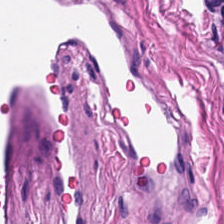Hematoxylin and eosin.
Tissue type = smooth-muscle tissue.
